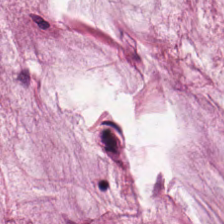Mucin.
